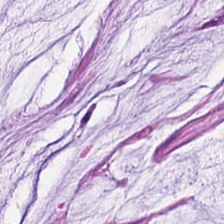224×224 px tile; brightfield; H&E stain. Mucin.
